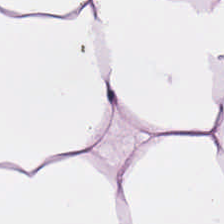Hematoxylin and eosin.
Showing adipose tissue.
